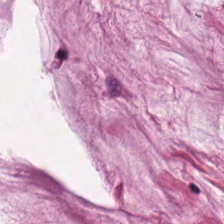H&E stain · 224×224 px tile — Q: What is the predominant tissue type?
A: Mucin.
